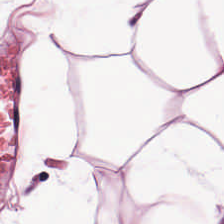Hematoxylin and eosin · 224×224 px patch. Q: What tissue type is shown here?
A: This is adipocytes.
